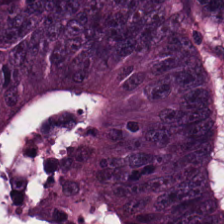Stain: H&E.
Tissue: adenocarcinoma.
